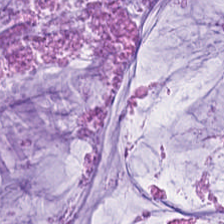Hematoxylin and eosin. {"tissue_type": "mucus"}
